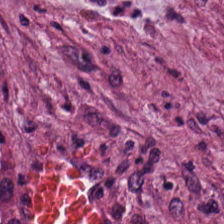Histology → cancer-associated stroma.
